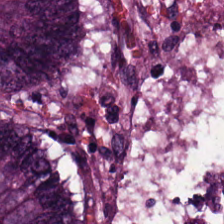Hematoxylin-and-eosin stained section — Showing adenocarcinoma.
